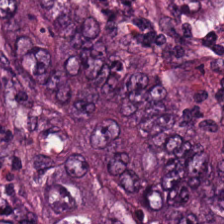Hematoxylin and eosin.
Adenocarcinoma.
